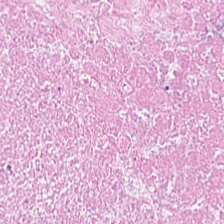Classification: necrotic debris.
